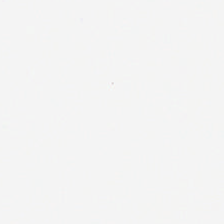H&E-stained tissue section · 0.5 microns per pixel · WSI patch — Q: Classify this patch.
A: This is background (no tissue).
